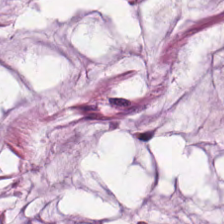Hematoxylin-and-eosin stained section. 224×224 px patch — Finding → mucin.
